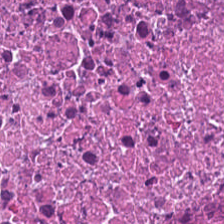Stain: H&E-stained tissue section.
Predominant tissue: cellular debris.
